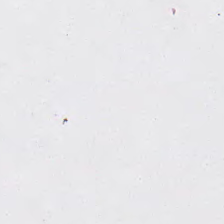H&E stain.
This patch shows no tissue.
